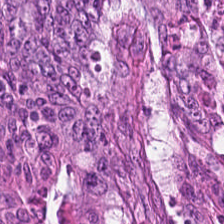Hematoxylin-and-eosin stained section — Predominant tissue — adenocarcinoma.
